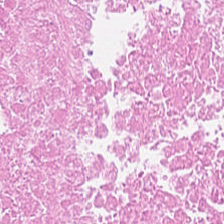224×224 pixel tile · H&E-stained tissue section.
This field is necrotic debris.
